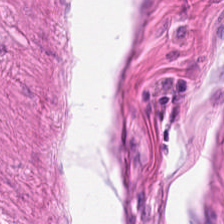Hematoxylin and eosin. The predominant tissue is smooth muscle.
